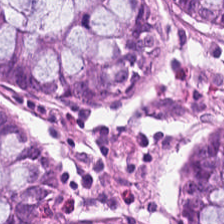H&E-stained tissue section — This patch shows normal colonic mucosa.
